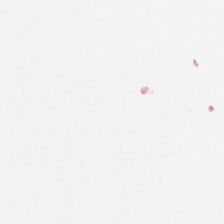H&E.
Background (no tissue).
